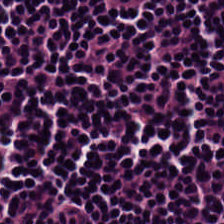H&E-stained tissue section. 224×224 px tile. FFPE. Q: What tissue is shown?
A: The field shows lymphoid infiltrate.
